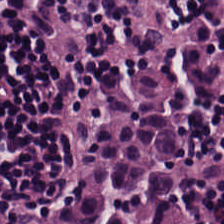FFPE; 224×224 pixel tile; hematoxylin-and-eosin stained section. Lymphocyte aggregate.
